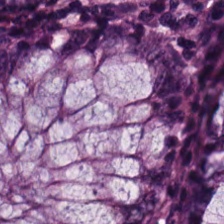20× equivalent magnification · hematoxylin-and-eosin stained section.
Impression — non-neoplastic colon mucosa.
